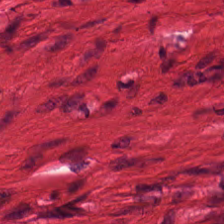H&E stain.
Q: What is the predominant tissue type?
A: It is muscularis.
